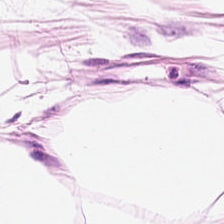H&E stain — {"tissue_type": "fat tissue"}
